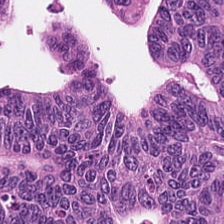Hematoxylin and eosin — Impression → malignant epithelium.
